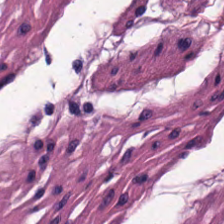WSI patch · H&E. Q: Classify this patch.
A: The field shows muscularis.
